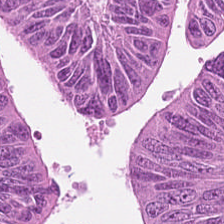0.5 µm/px · formalin-fixed paraffin-embedded section · H&E — Impression — tumor epithelium.
